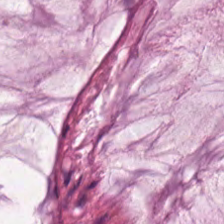Hematoxylin-and-eosin stained section; formalin-fixed paraffin-embedded section. The tissue here is mucus.
